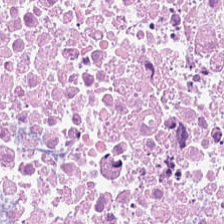Hematoxylin and eosin · 0.5 µm/px. Predominant tissue: cellular debris.
